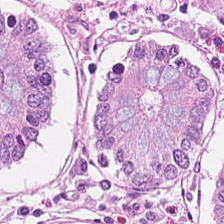Formalin-fixed paraffin-embedded section. H&E-stained tissue section.
The tissue here is non-neoplastic colon mucosa.
